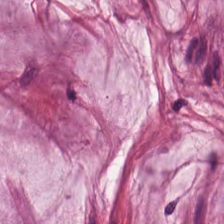H&E. Predominantly mucus.
